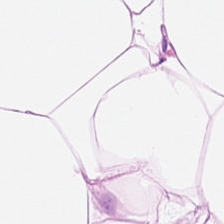Tissue class: adipocytes.
